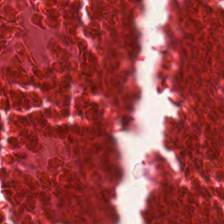WSI patch · H&E. Tissue class — debris.
